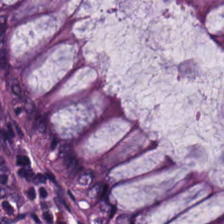H&E-stained tissue section. WSI patch. The tissue is benign colonic mucosa.
